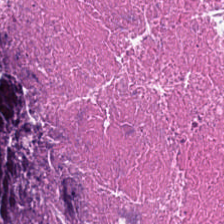Tissue class — cellular debris.
